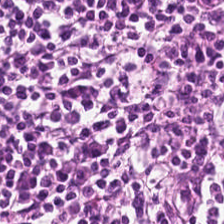Hematoxylin and eosin · 224×224 px patch.
Tissue — lymphoid infiltrate.
